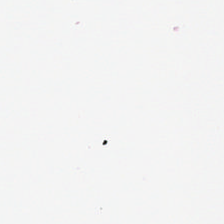Q: What is shown in this field?
A: Background.
